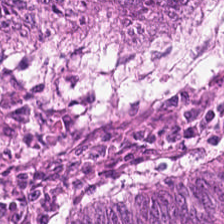WSI patch; H&E stain.
Q: What type of tissue is this?
A: It is adenocarcinoma.
